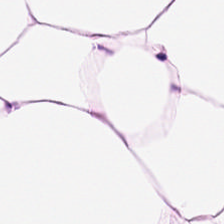Hematoxylin-and-eosin stained section. Q: What is shown here?
A: This is adipose tissue.
